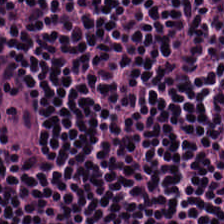Hematoxylin and eosin.
Predominant tissue — lymphocyte aggregate.
